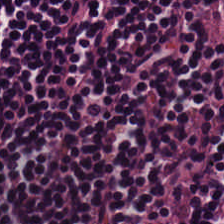H&E stain. Tissue type: lymphoid infiltrate.
